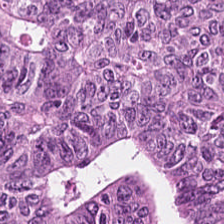224×224 pixel tile; hematoxylin-and-eosin stained section. Tissue type: tumor epithelium.
